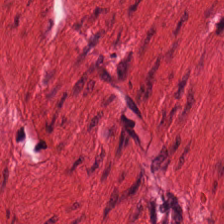Predominant tissue — muscularis.
